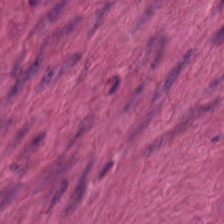Smooth-muscle tissue.
